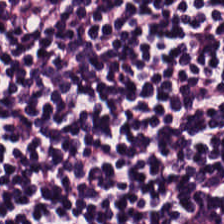Stain: hematoxylin-and-eosin stained section.
Tile size: 224×224 px tile.
Resolution: 20× equivalent magnification.
Tissue type: lymphoid infiltrate.
